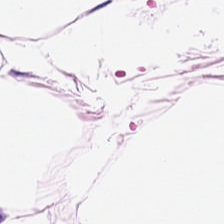FFPE; H&E — Q: What does this patch show?
A: It is adipose tissue.
